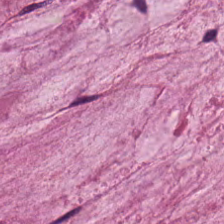H&E.
This field is extracellular mucin.
